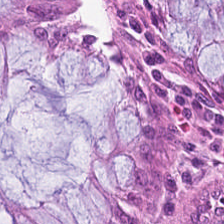H&E — Showing non-neoplastic colon mucosa.
